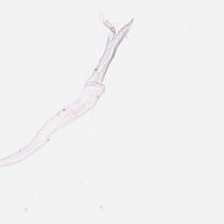H&E-stained tissue section. Brightfield.
This field is background (no tissue).
